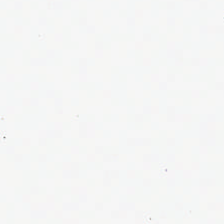H&E stain — The field content is empty background.
